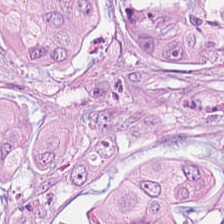This patch shows malignant epithelium.
